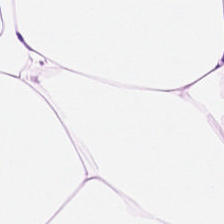224×224 px tile · H&E · 20× equivalent magnification.
Impression — fat tissue.
